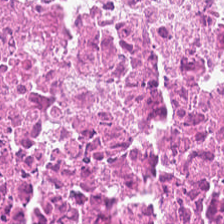Hematoxylin and eosin · brightfield. Finding — cellular debris.
